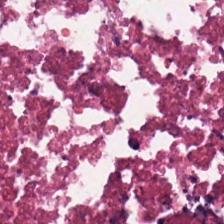224×224 pixel tile · H&E.
Showing cellular debris.
